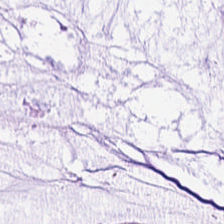WSI patch. Hematoxylin-and-eosin stained section. FFPE tissue section. The predominant tissue is mucin.
